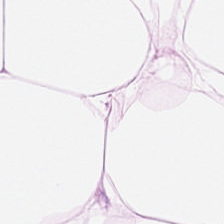H&E.
Adipose.
